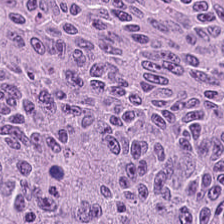H&E.
Q: What type of tissue is this?
A: This is colorectal adenocarcinoma epithelium.
